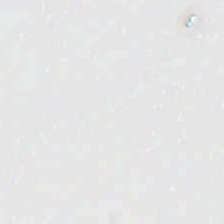H&E stain · whole-slide-image patch — Classification = no tissue.
